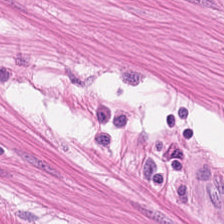H&E-stained tissue section.
Q: What is shown here?
A: The field shows muscularis.
